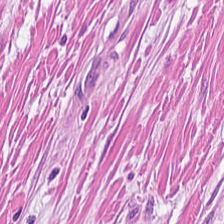Hematoxylin and eosin. Q: What is the predominant tissue type?
A: It is smooth-muscle tissue.
